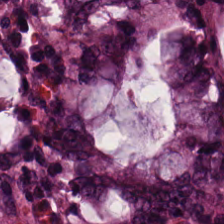H&E; 20× equivalent magnification; formalin-fixed paraffin-embedded section — {"tissue_type": "non-neoplastic colon mucosa"}
